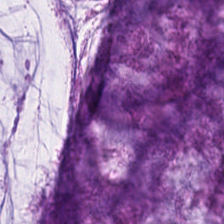FFPE tissue section; H&E stain. The predominant tissue is extracellular mucin.
